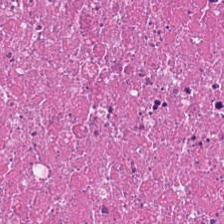Whole-slide-image patch; hematoxylin-and-eosin stained section. The predominant tissue is necrotic debris.
